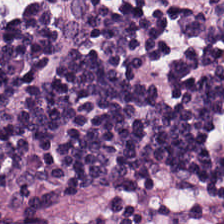Hematoxylin and eosin. Finding — lymphoid infiltrate.
